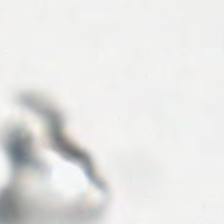Stain: H&E stain.
Field content: background.
